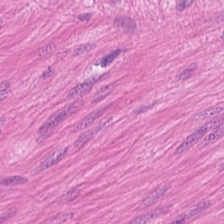Stain: hematoxylin-and-eosin stained section.
Tissue: smooth-muscle tissue.
